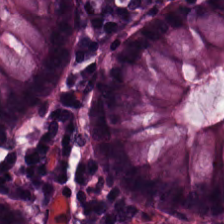224×224 pixel tile · hematoxylin-and-eosin stained section.
This patch shows benign colonic mucosa.
